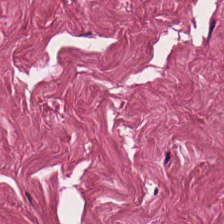Stain: hematoxylin-and-eosin stained section.
Tissue: desmoplastic stroma.
